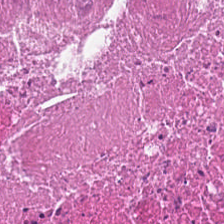H&E.
Finding — necrotic debris.
